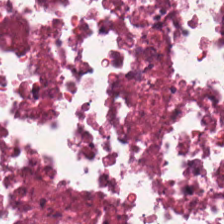Q: What is shown in this field?
A: This is debris.
